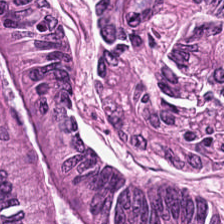Stain: H&E stain.
Predominant tissue: adenocarcinoma.
